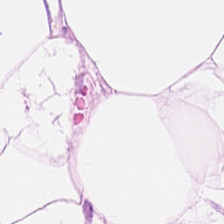FFPE; hematoxylin-and-eosin stained section. Classification: adipose.
